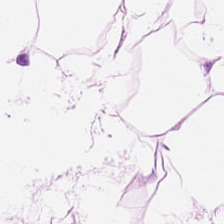Hematoxylin and eosin. Showing adipose.
